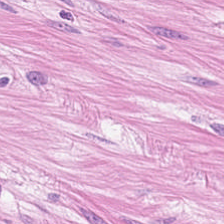Stain: H&E-stained tissue section.
Tissue type: smooth-muscle tissue.
